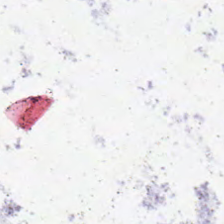Field content = background.
